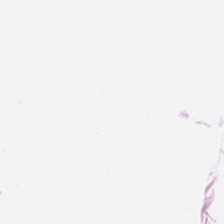Impression — adipose tissue.
